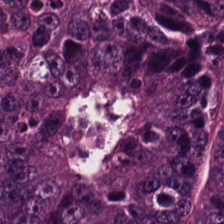Hematoxylin and eosin; FFPE tissue section; 224×224 px patch — This field is adenocarcinoma.
